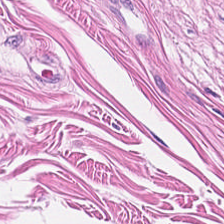H&E stain.
Q: Classify this patch.
A: Smooth muscle.
